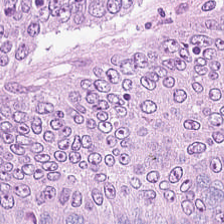Hematoxylin-and-eosin stained section · 224×224 px tile · FFPE tissue section — Tissue type: malignant epithelium.
